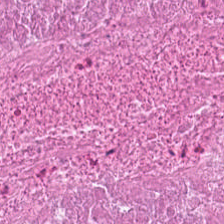H&E stain. Tissue type = cellular debris.
